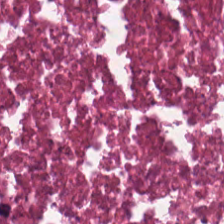0.5 µm/px. Formalin-fixed paraffin-embedded section. H&E-stained tissue section.
Q: What tissue is shown?
A: This is cellular debris.
